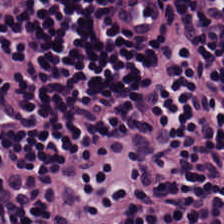{"tissue_type": "lymphocytic infiltrate"}
